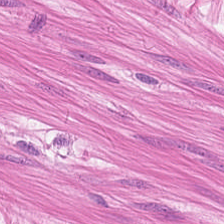Histology → smooth muscle.
